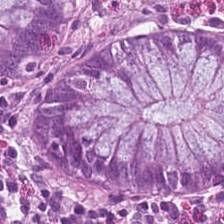Hematoxylin-and-eosin section: benign colonic mucosa.
